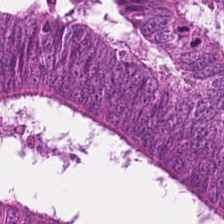FFPE. Whole-slide-image patch. Hematoxylin-and-eosin stained section. Q: What tissue type is shown here?
A: Colorectal adenocarcinoma.
